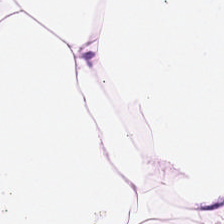Whole-slide-image patch. H&E.
Predominant tissue = adipose.
